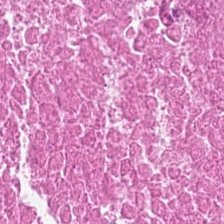Hematoxylin-and-eosin stained section. 224×224 px patch. Tissue = debris.
